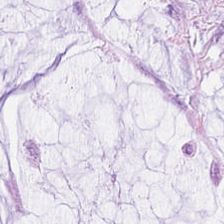H&E stain; 224×224 pixel tile. The tissue type is mucus.
